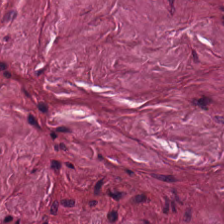H&E.
Predominantly tumor stroma.
